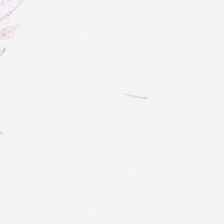H&E — Showing adipose tissue.
